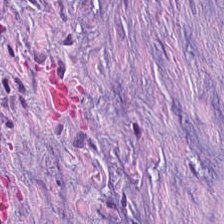The predominant tissue is tumor-associated stroma.
